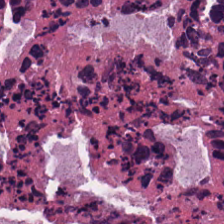H&E-stained tissue section.
This field is debris.
